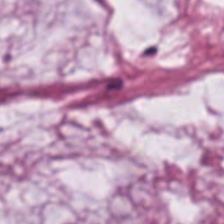Hematoxylin-and-eosin stained section — Tissue class: mucus.
